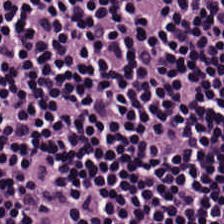H&E. FFPE — Lymphocyte aggregate.
